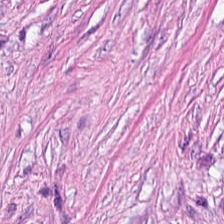Predominant tissue — desmoplastic stroma.
